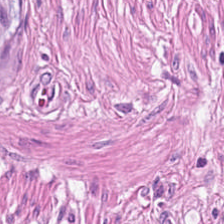Classification: muscularis.
